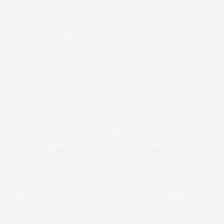H&E.
Content: empty background.
